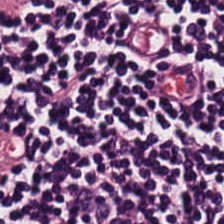H&E stain — Tissue type — lymphoid infiltrate.
